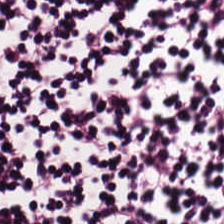Hematoxylin-and-eosin stained section; FFPE. Histology → lymphocytic infiltrate.
